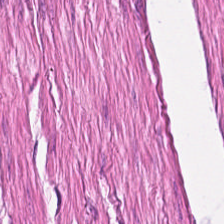Hematoxylin-and-eosin stained section · 0.5 µm per pixel. {"tissue_type": "smooth muscle"}
